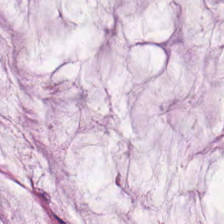Impression → extracellular mucin.
